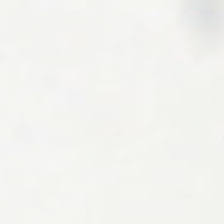Hematoxylin-and-eosin stained section. Q: What does this patch show?
A: Background (no tissue).
